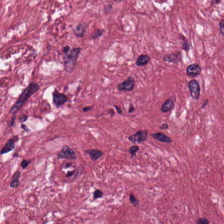Whole-slide-image patch · hematoxylin and eosin — This patch shows cancer-associated stroma.
